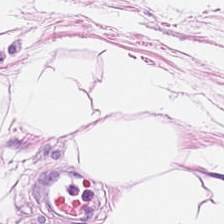Predominantly adipocytes.
